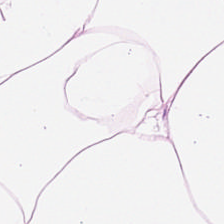FFPE tissue section; 224×224 pixel tile; H&E.
{"tissue_type": "adipose"}
